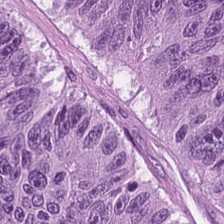H&E; brightfield.
Predominant tissue = colorectal adenocarcinoma.
